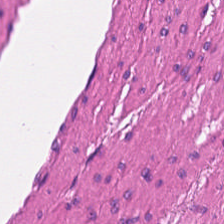H&E-stained tissue section showing muscularis.
